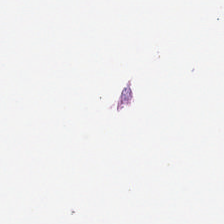H&E — Histology → empty background.
